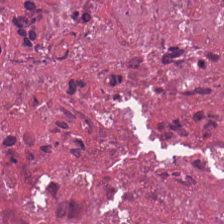H&E stain — Q: What is the predominant tissue type?
A: It is necrotic debris.
